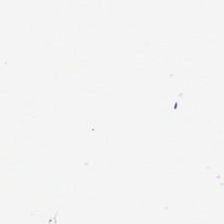Whole-slide-image patch · 224×224 px patch · hematoxylin and eosin — This patch shows empty background.
